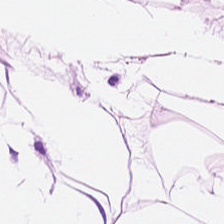Hematoxylin-and-eosin stained section — Q: What does this patch show?
A: The field shows fat tissue.
